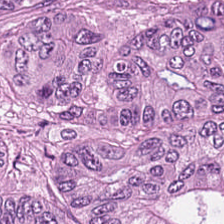Histology — tumor epithelium.
